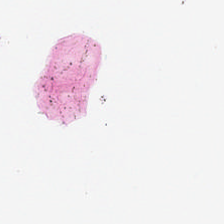Stain: H&E stain.
Field content: empty background.
